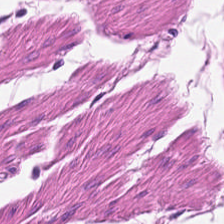Stain: H&E-stained tissue section.
Classification: smooth muscle.
